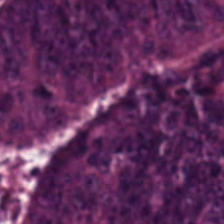Whole-slide-image patch; hematoxylin-and-eosin stained section — Q: What tissue is shown?
A: The field shows adenocarcinoma.
